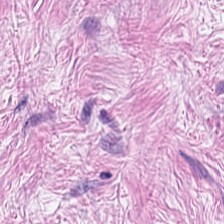Brightfield · H&E stain · 224×224 px tile — The tissue here is desmoplastic stroma.
